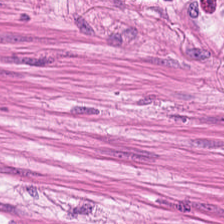H&E-stained tissue section — Tissue type — muscularis.
